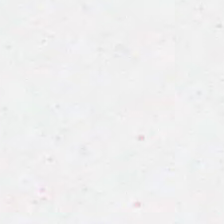H&E stain; 0.5 µm/px.
The content is background.
